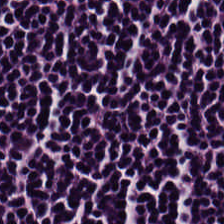Tissue = lymphocytic infiltrate.
